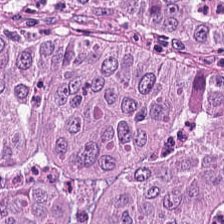H&E-stained tissue section. Predominant tissue = adenocarcinoma.
